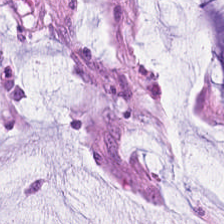Stain: hematoxylin and eosin.
Preparation: FFPE tissue section.
Tissue: mucin.
